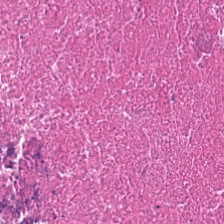Stain: H&E-stained tissue section.
Tissue class: debris.
